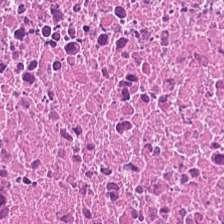Stain: H&E stain.
Preparation: FFPE tissue section.
Predominant tissue: cellular debris.
